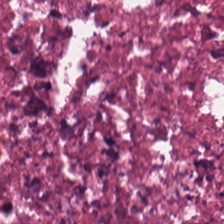Stain: hematoxylin and eosin.
Acquisition: WSI patch.
Classification: necrotic debris.
